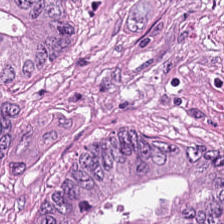H&E — tumor epithelium.
